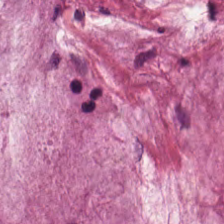Hematoxylin and eosin · FFPE tissue section — Showing mucin.
